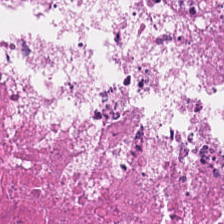H&E stain.
The classification is necrotic debris.
